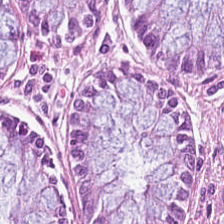H&E.
Impression → normal colonic mucosa.
